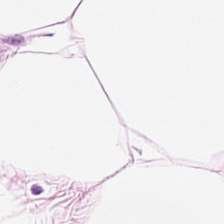H&E stain. Q: What type of tissue is this?
A: Fat tissue.
